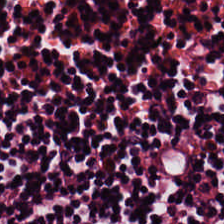FFPE tissue section; hematoxylin-and-eosin stained section.
Impression — lymphoid infiltrate.
